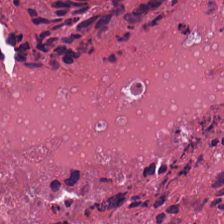H&E-stained tissue section.
Cellular debris.
